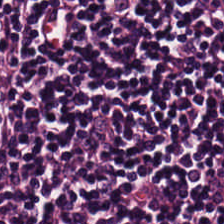Hematoxylin-and-eosin stained section. Lymphocytes.
